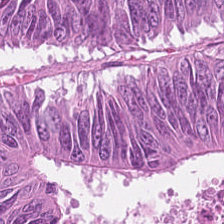H&E · whole-slide-image patch — The predominant tissue is adenocarcinoma.
